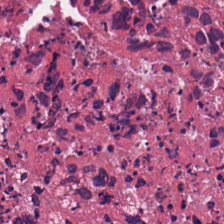H&E stain; FFPE.
Predominant tissue = necrotic debris.
